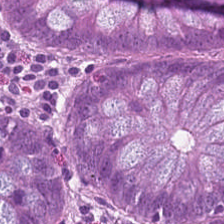H&E — Q: What does this patch show?
A: This is non-neoplastic colon mucosa.
